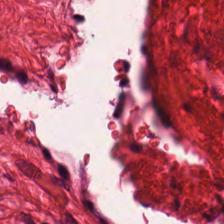Stain: hematoxylin-and-eosin stained section.
Resolution: 0.5 µm/px.
Tissue: muscularis.
